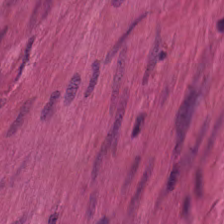Hematoxylin-and-eosin stained section · 0.5 µm per pixel. This field is muscularis.
